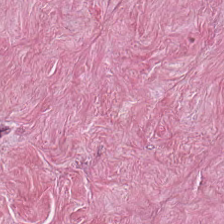H&E-stained tissue section. Predominantly tumor-associated stroma.
